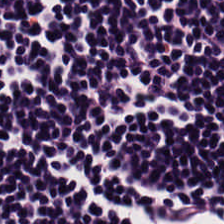Finding — lymphocytes.
